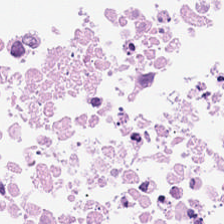Hematoxylin and eosin; brightfield; 224×224 px patch — Debris.
